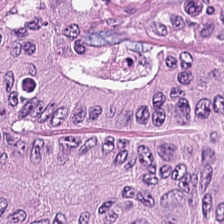H&E-stained tissue section · FFPE — Tissue type — adenocarcinoma.
